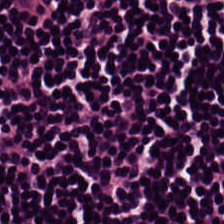Hematoxylin and eosin. Q: What tissue is shown?
A: This is lymphocytic infiltrate.
